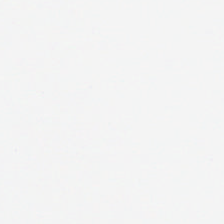H&E stain. Brightfield. Empty field — no tissue.
